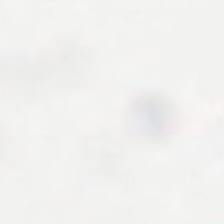Content — empty background.
